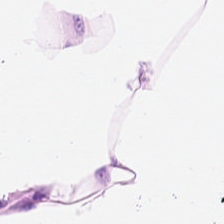H&E.
The predominant tissue is adipocytes.
